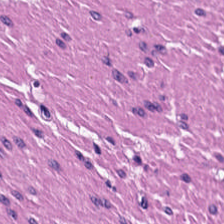Stain: hematoxylin-and-eosin stained section.
Preparation: FFPE tissue section.
Classification: smooth-muscle tissue.
